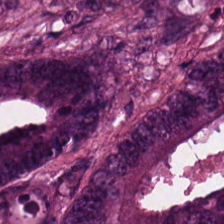Hematoxylin and eosin · 0.5 microns per pixel — Histology → colorectal adenocarcinoma.
